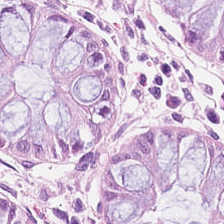Hematoxylin and eosin.
Classification = normal colonic mucosa.
